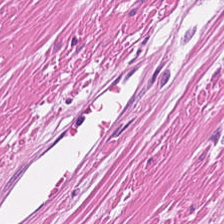H&E-stained tissue section — Predominantly smooth-muscle tissue.
